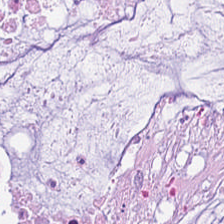{"tissue_type": "mucus"}
